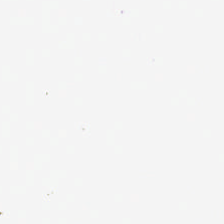H&E stain. No tissue.
